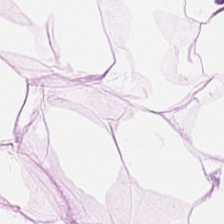Impression — adipocytes.
